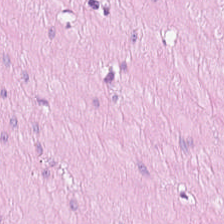0.5 µm per pixel · hematoxylin and eosin · formalin-fixed paraffin-embedded section.
This patch shows smooth muscle.
